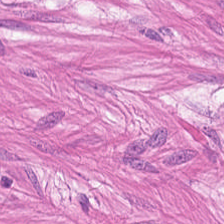Histology → smooth muscle.
